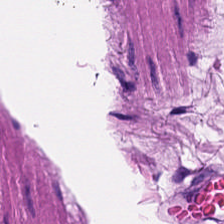H&E.
The tissue is smooth muscle.
